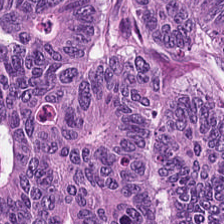Stain: H&E.
Tissue type: adenocarcinoma.
